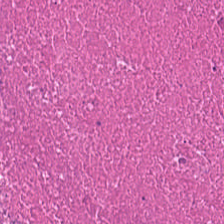Hematoxylin-and-eosin stained section. This patch shows cellular debris.
